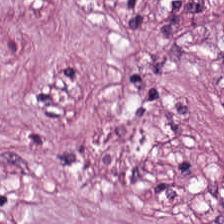Stain: H&E-stained tissue section.
Tissue: desmoplastic stroma.
